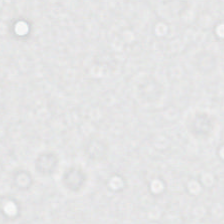Q: What is shown in this field?
A: No tissue.
